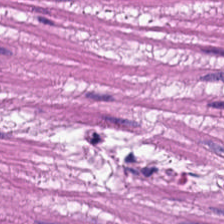Hematoxylin-and-eosin stained section. Q: What is shown here?
A: The field shows smooth muscle.
